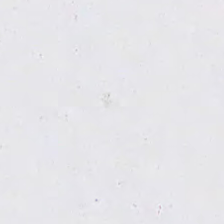0.5 µm/px · H&E stain.
No tissue present; background only.
